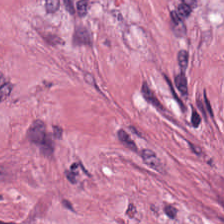Predominantly tumor-associated stroma.
